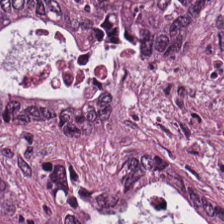H&E · brightfield microscopy — This field is malignant epithelium.
